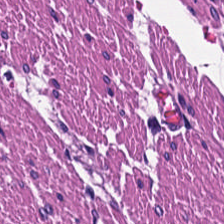H&E — Q: What is shown in this field?
A: The field shows smooth-muscle tissue.
